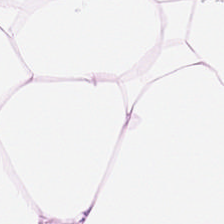H&E.
Fat tissue.
